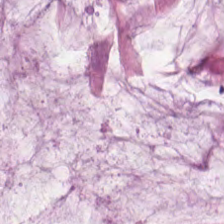H&E.
Impression — extracellular mucin.
